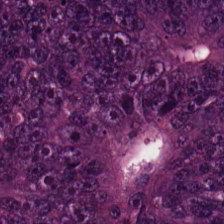H&E stain.
The tissue class is malignant epithelium.
